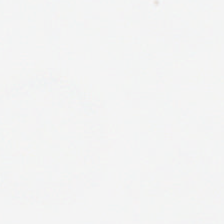H&E. {"content": "background"}
